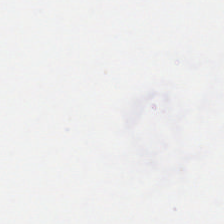224×224 pixel tile; FFPE tissue section; H&E stain. Q: What is shown here?
A: Empty background.
